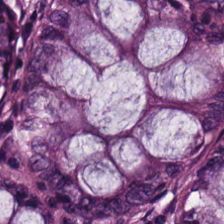Non-neoplastic colon mucosa.
